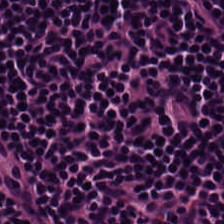The tissue class is lymphocytes.
